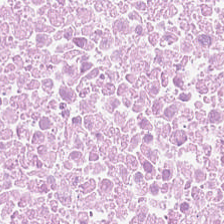Finding → necrotic debris.
